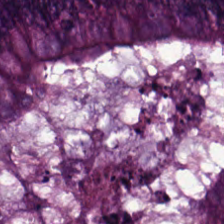Stain: H&E.
Tissue: tumor epithelium.
